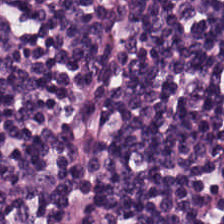H&E stain · 0.5 µm per pixel — Predominantly lymphocyte aggregate.
